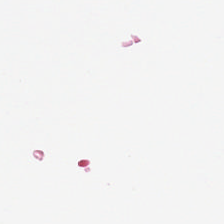Q: What does this patch show?
A: Empty background.
